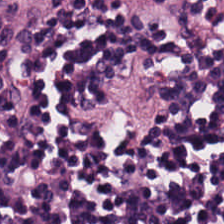Brightfield · hematoxylin and eosin. Tissue type = lymphocytic infiltrate.
